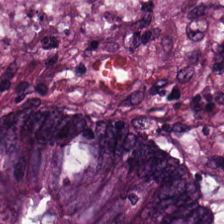Impression → tumor epithelium.
